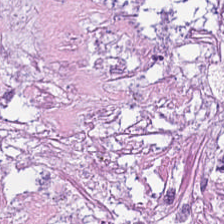H&E — Q: What tissue type is shown here?
A: The field shows cellular debris.
